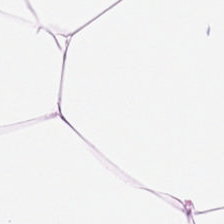H&E-stained tissue section · 0.5 µm per pixel — Q: What is shown in this field?
A: It is adipose.
